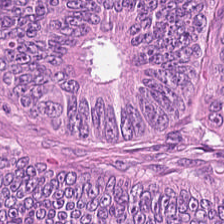H&E. Impression — colorectal adenocarcinoma epithelium.
